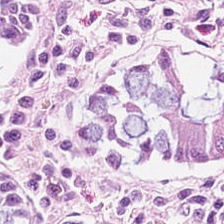Hematoxylin-and-eosin stained section — Impression — normal colonic mucosa.
